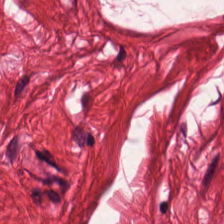Stain: H&E-stained tissue section.
Tissue class: muscularis.
